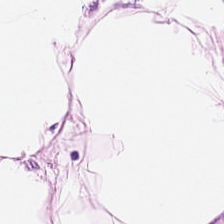Stain: hematoxylin-and-eosin stained section.
Acquisition: brightfield.
Tissue: adipose tissue.
